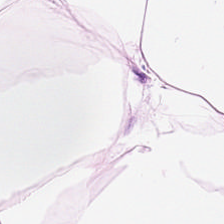H&E stain. Tissue class: adipose.
